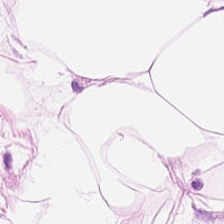H&E stain.
This field is adipose tissue.
